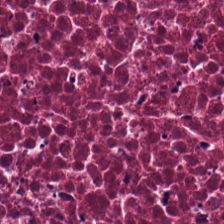H&E-stained tissue section. The predominant tissue is necrotic debris.
